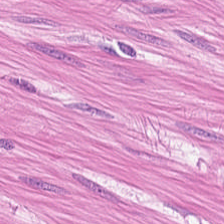Hematoxylin and eosin — {"tissue_type": "smooth muscle"}
